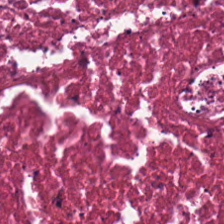0.5 microns per pixel; H&E — The classification is cellular debris.
